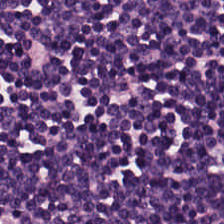Hematoxylin-and-eosin stained section. This field is lymphoid infiltrate.
